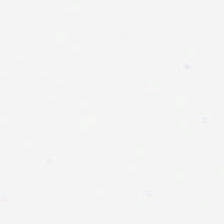Formalin-fixed paraffin-embedded section. Hematoxylin-and-eosin stained section. 224×224 px patch. Background — no tissue in this field.
